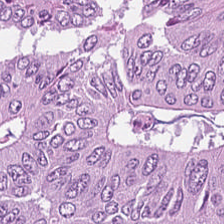H&E-stained tissue section.
Q: What is shown here?
A: It is colorectal adenocarcinoma epithelium.
